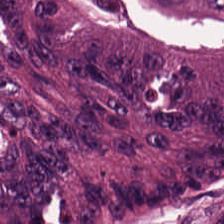This field is colorectal adenocarcinoma epithelium.
